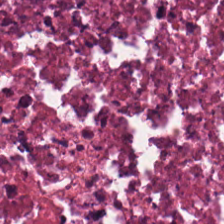This field is debris.
